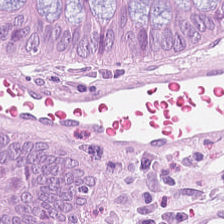H&E-stained tissue section.
{"tissue_type": "non-neoplastic colon mucosa"}
